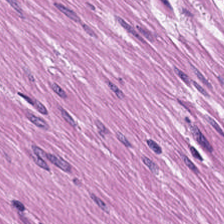H&E.
Predominantly smooth-muscle tissue.
